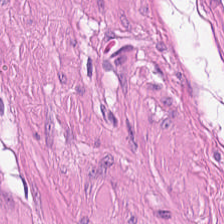H&E stain. Predominant tissue — smooth-muscle tissue.
